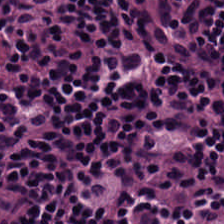H&E-stained tissue section. 224×224 pixel tile.
Tissue — lymphocytic infiltrate.
